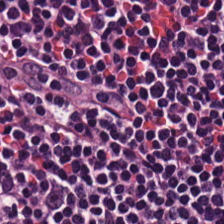FFPE tissue section. H&E. Lymphocytes.
